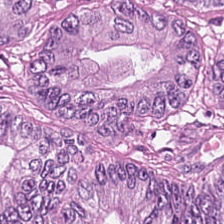H&E stain. Q: What tissue type is shown here?
A: It is tumor epithelium.
